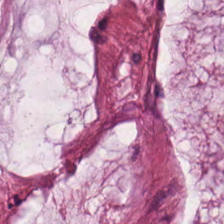H&E.
The predominant tissue is mucus.
